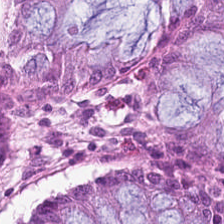Stain: hematoxylin-and-eosin stained section.
Classification: normal colon mucosa.
